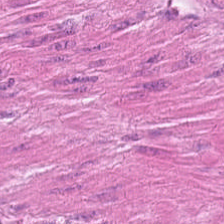This patch shows smooth muscle.
